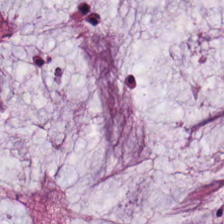H&E-stained tissue section. The tissue is extracellular mucin.
